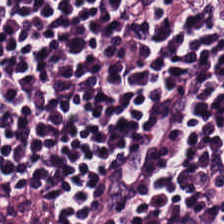Stain: H&E stain.
Classification: lymphocytic infiltrate.
